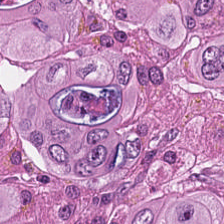H&E · 224×224 pixel tile — The tissue here is colorectal adenocarcinoma epithelium.
